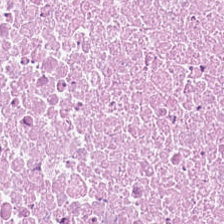H&E patch showing cellular debris.
